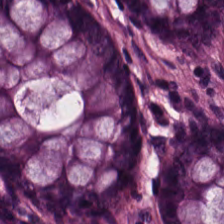Stain: hematoxylin-and-eosin stained section.
Predominant tissue: non-neoplastic colon mucosa.
